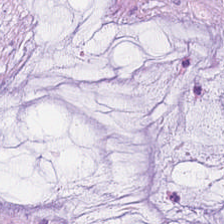H&E stain — Tissue type — extracellular mucin.
